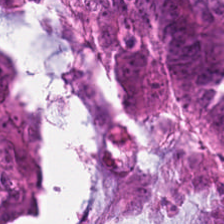Hematoxylin-and-eosin stained section — Finding — malignant epithelium.
